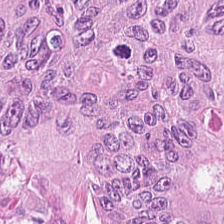Hematoxylin-and-eosin section: adenocarcinoma.
